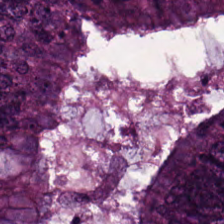H&E-stained tissue section showing colorectal adenocarcinoma.
